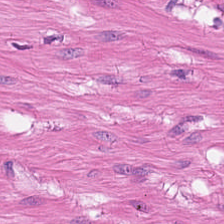0.5 µm per pixel · hematoxylin and eosin.
Tissue: smooth-muscle tissue.
